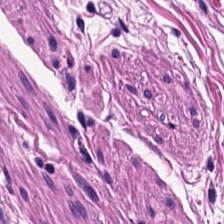H&E. Q: What is shown here?
A: The field shows smooth muscle.
